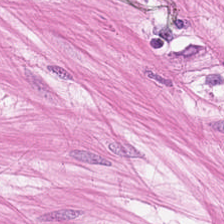H&E stain.
Smooth-muscle tissue.
